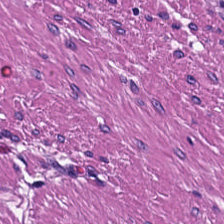H&E stain — Tissue class: muscularis.
